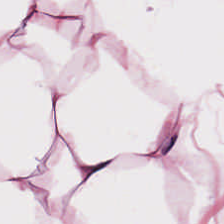0.5 µm/px. H&E. {"tissue_type": "adipose tissue"}
